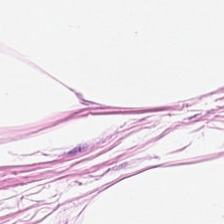H&E-stained section; the field shows fat tissue.
